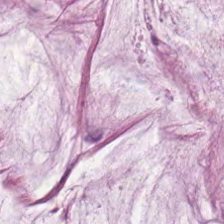H&E patch showing extracellular mucin.
